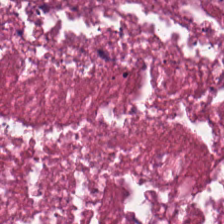Tissue class: cellular debris.
